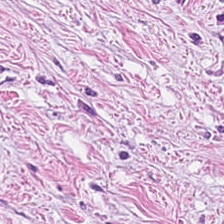Hematoxylin and eosin — The tissue is tumor stroma.
